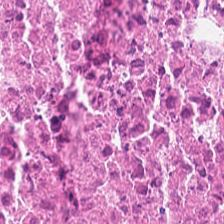Showing debris.
